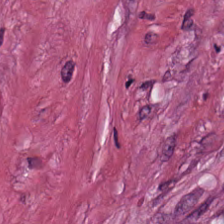Hematoxylin and eosin.
Histology — desmoplastic stroma.
